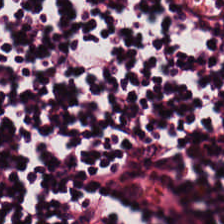Hematoxylin-and-eosin section: lymphocytic infiltrate.
